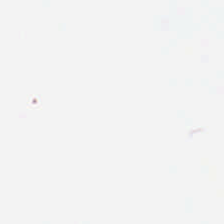Q: What is shown in this field?
A: This is background.
